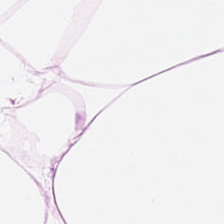WSI patch. FFPE. H&E stain. Showing fat tissue.
